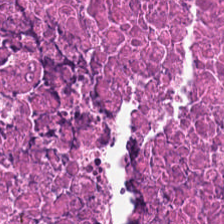Whole-slide-image patch · hematoxylin-and-eosin stained section — Histology — debris.
